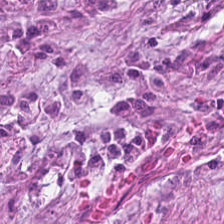Hematoxylin-and-eosin stained section. Tissue — desmoplastic stroma.
